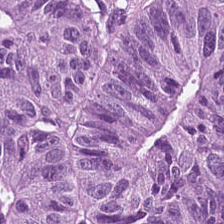Hematoxylin-and-eosin stained section. WSI patch.
Tissue class = tumor epithelium.
